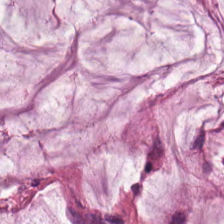Stain: hematoxylin-and-eosin stained section.
Preparation: FFPE.
Tissue class: mucus.
